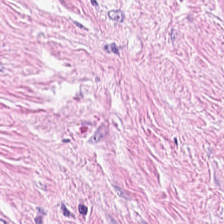224×224 px patch. Formalin-fixed paraffin-embedded section. Hematoxylin and eosin.
{"tissue_type": "cancer-associated stroma"}
